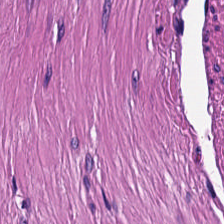Histology — smooth-muscle tissue.
